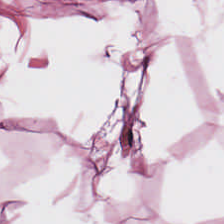The tissue is adipose.
